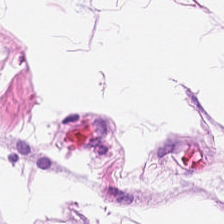Brightfield microscopy; hematoxylin-and-eosin stained section.
Q: What tissue type is shown here?
A: Adipose tissue.
